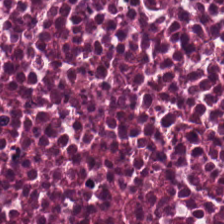H&E-stained tissue section.
The predominant tissue is cellular debris.
